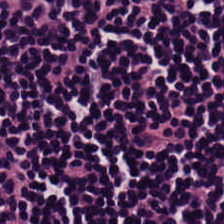Hematoxylin and eosin. 224×224 pixel tile. Tissue — lymphocytic infiltrate.
